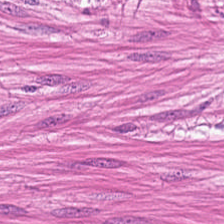H&E stain. Q: What tissue is shown?
A: This is smooth muscle.
